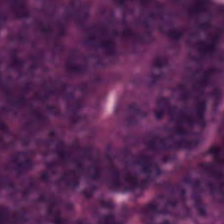Hematoxylin-and-eosin stained section.
This patch shows adenocarcinoma.
